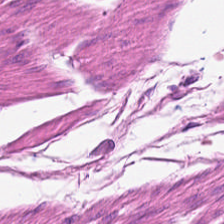The tissue here is smooth muscle.
